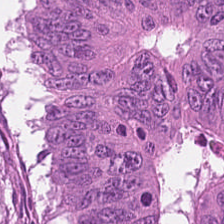Hematoxylin-and-eosin stained section.
The tissue here is colorectal adenocarcinoma epithelium.
